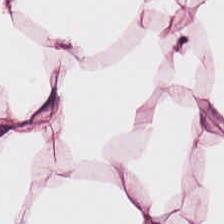FFPE · hematoxylin-and-eosin stained section.
This patch shows fat tissue.
